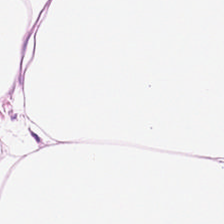Hematoxylin and eosin. Showing adipose.
